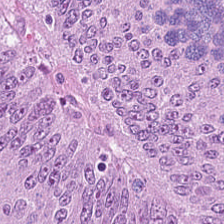Predominantly adenocarcinoma.
